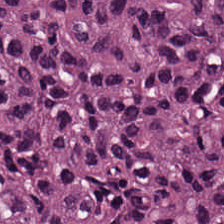Stain: H&E-stained tissue section.
Tissue class: adenocarcinoma.
